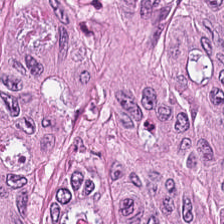H&E stain. 224×224 px patch. Q: What tissue is shown?
A: It is tumor epithelium.
